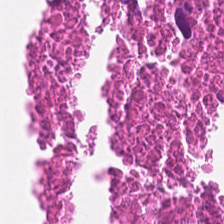20× equivalent magnification · hematoxylin and eosin · 224×224 px tile. Tissue type: debris.
